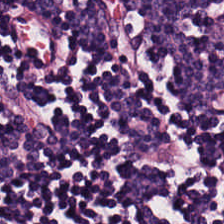Stain: hematoxylin and eosin.
Classification: lymphocyte aggregate.
